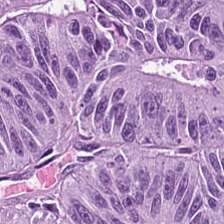Brightfield. Hematoxylin-and-eosin stained section.
Tissue type: tumor epithelium.
